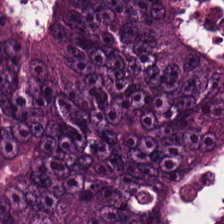Stain: hematoxylin-and-eosin stained section.
Tissue: colorectal adenocarcinoma epithelium.
